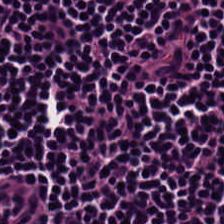H&E. Tissue type = lymphoid infiltrate.
